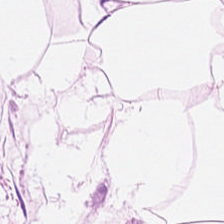Formalin-fixed paraffin-embedded section. Hematoxylin and eosin — Showing adipocytes.
